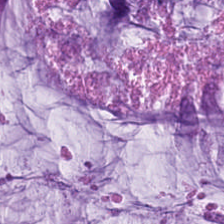Hematoxylin-and-eosin stained section.
Finding → mucus.
